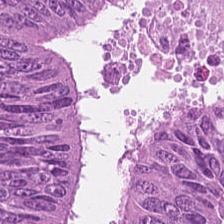Adenocarcinoma.
